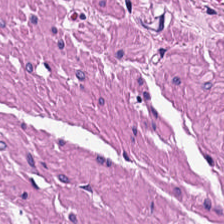H&E — The tissue is smooth-muscle tissue.
